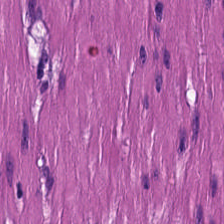Q: Classify this patch.
A: This is muscularis.
